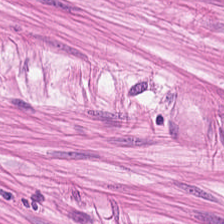0.5 µm/px · H&E. The tissue class is muscularis.
